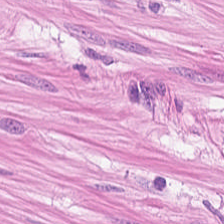H&E-stained tissue section. {"tissue_type": "muscularis"}
